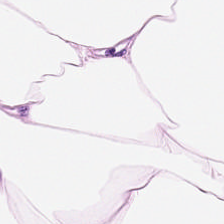H&E-stained tissue section · FFPE tissue section. Tissue class = adipose.
